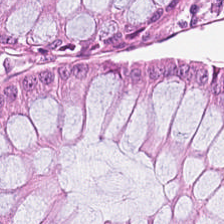H&E-stained tissue section. 224×224 pixel tile. The tissue is normal colonic mucosa.
